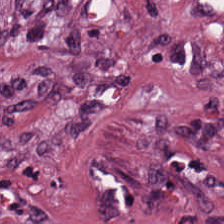Hematoxylin and eosin — This field is tumor stroma.
